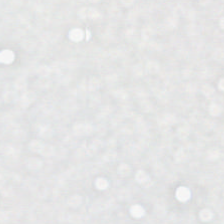Classification — no tissue.
